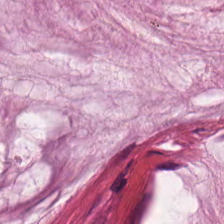H&E-stained tissue section. 0.5 microns per pixel. FFPE tissue section. This field is mucus.
